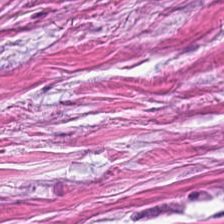H&E; FFPE tissue section; WSI patch.
The classification is tumor stroma.
